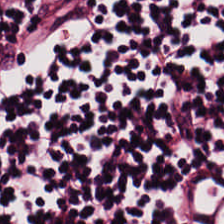The predominant tissue is lymphocytes.
